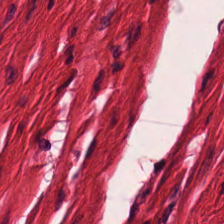Formalin-fixed paraffin-embedded section; hematoxylin and eosin; 0.5 microns per pixel. The classification is smooth-muscle tissue.
